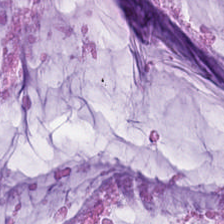224×224 pixel tile; hematoxylin-and-eosin stained section. Q: What type of tissue is this?
A: The field shows mucin.
